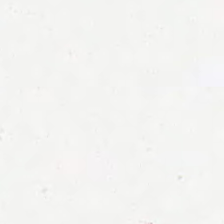FFPE tissue section; hematoxylin and eosin.
Empty field — no tissue.
